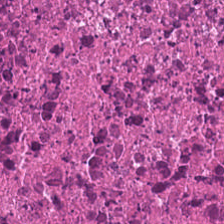Stain: H&E stain.
Classification: cellular debris.
